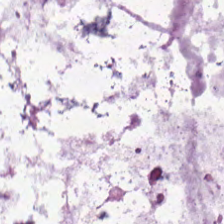20× equivalent magnification · H&E. This field is mucus.
